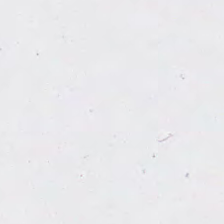H&E stain.
{"content": "no tissue"}
